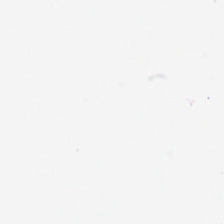No tissue present; background only.
